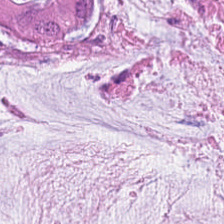224×224 pixel tile · H&E stain · brightfield microscopy.
Finding → mucus.
